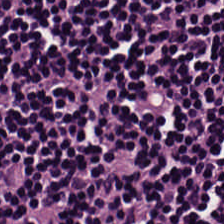{"tissue_type": "lymphocytic infiltrate"}
